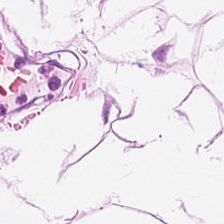H&E — Q: What is shown in this field?
A: This is adipose.
